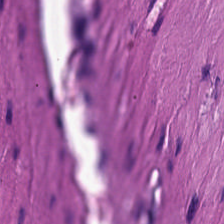Classification — smooth muscle.
